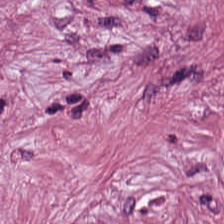224×224 px patch; hematoxylin-and-eosin stained section; brightfield — The classification is cancer-associated stroma.
